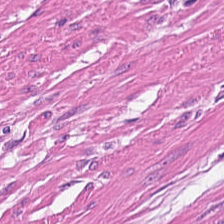Formalin-fixed paraffin-embedded section. H&E — This field is muscularis.
